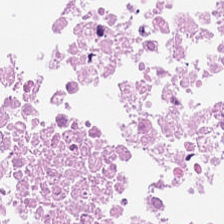H&E stain · 224×224 pixel tile · 0.5 microns per pixel.
The classification is debris.
